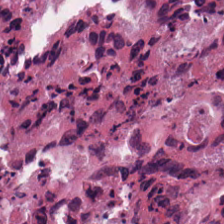Brightfield. Hematoxylin-and-eosin stained section. Classification: debris.
